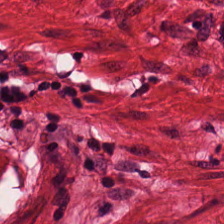H&E stain. Smooth-muscle tissue.
